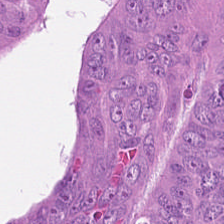Q: What is the predominant tissue type?
A: Malignant epithelium.
